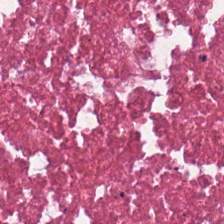Q: What is shown in this field?
A: It is debris.
